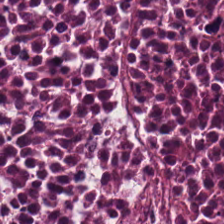Hematoxylin-and-eosin stained section. FFPE. Q: What is shown here?
A: The field shows debris.
